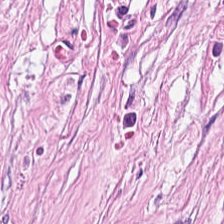Hematoxylin-and-eosin stained section.
Q: What tissue type is shown here?
A: This is tumor-associated stroma.
